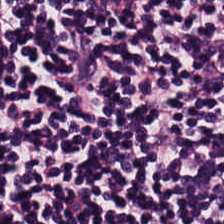Whole-slide-image patch; hematoxylin and eosin.
Histology — lymphocytic infiltrate.
